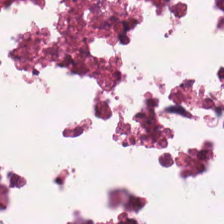Hematoxylin-and-eosin stained section — This field is debris.
